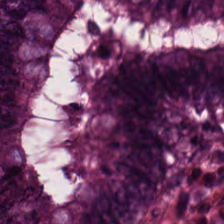Stain: H&E stain.
Resolution: 0.5 microns per pixel.
Classification: non-neoplastic colon mucosa.
